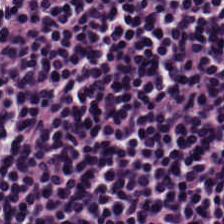0.5 µm per pixel; hematoxylin and eosin.
Q: What is the predominant tissue type?
A: It is lymphocytic infiltrate.
